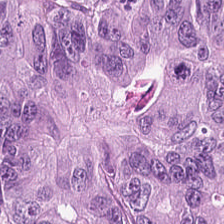H&E-stained tissue section. Histology — tumor epithelium.
